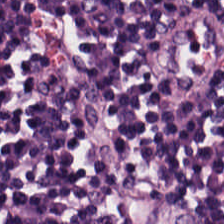Finding — lymphocytes.
